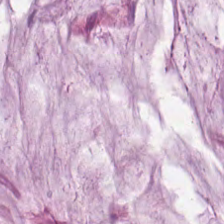Stain: H&E stain.
Predominant tissue: mucus.
